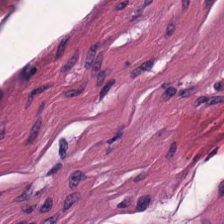Hematoxylin-and-eosin stained section — Q: What does this patch show?
A: This is smooth-muscle tissue.
